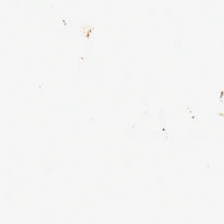H&E stain.
Content = no tissue.
